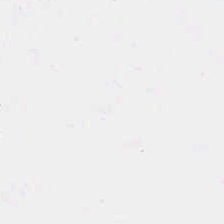H&E. WSI patch.
The classification is no tissue.
